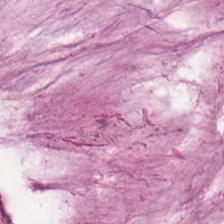Formalin-fixed paraffin-embedded section; H&E stain; 0.5 µm per pixel.
The tissue here is extracellular mucin.
